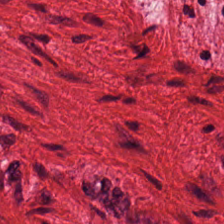H&E-stained tissue section · 0.5 µm per pixel. Tissue type — smooth muscle.
